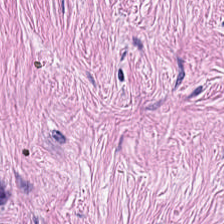H&E-stained tissue section. 20× equivalent magnification. Finding → desmoplastic stroma.
